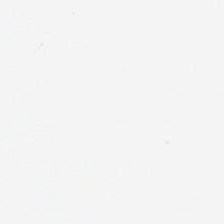Stain: hematoxylin and eosin.
Resolution: 0.5 microns per pixel.
Content: no tissue.
